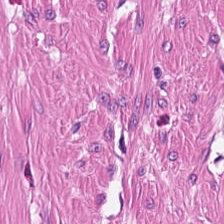H&E stain. Brightfield microscopy.
Smooth muscle.
